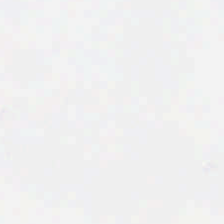Q: What does this patch show?
A: Background (no tissue).
